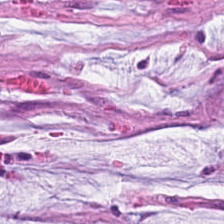Stain: H&E stain.
Resolution: 0.5 µm per pixel.
Acquisition: brightfield.
Predominant tissue: extracellular mucin.
